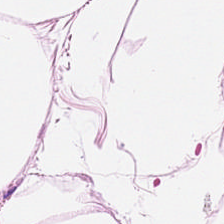224×224 px tile; hematoxylin and eosin; FFPE. This field is adipose.
